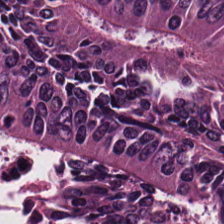0.5 µm/px · hematoxylin and eosin · formalin-fixed paraffin-embedded section. Q: What is shown here?
A: It is colorectal adenocarcinoma.
